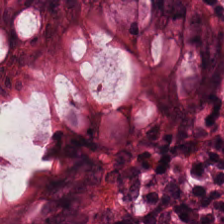Hematoxylin and eosin. The tissue here is non-neoplastic colon mucosa.
